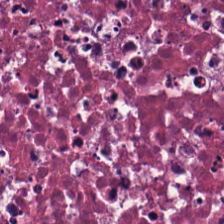H&E — Predominant tissue — cellular debris.
